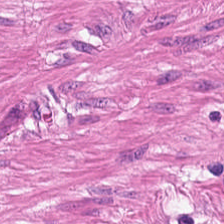Hematoxylin and eosin. {"tissue_type": "smooth muscle"}
